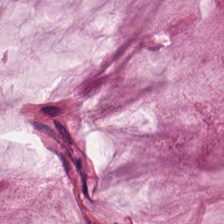FFPE tissue section · whole-slide-image patch · hematoxylin-and-eosin stained section.
The classification is mucin.
